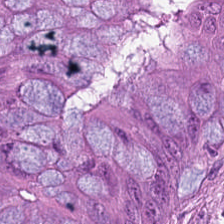224×224 px patch · H&E-stained tissue section.
Finding — colorectal adenocarcinoma epithelium.
